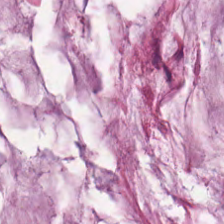Tissue — extracellular mucin.
